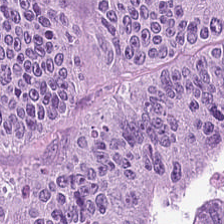FFPE; H&E-stained tissue section.
Tissue type — colorectal adenocarcinoma.
